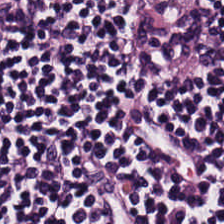H&E.
Tissue — lymphocytes.
